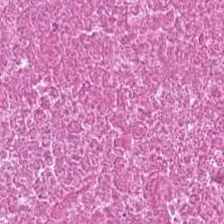H&E-stained tissue section.
Impression — debris.
